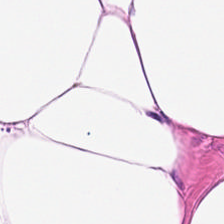H&E stain · brightfield microscopy · 224×224 px patch. Fat tissue.
